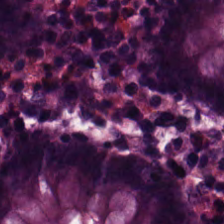Classification: normal colon mucosa.
